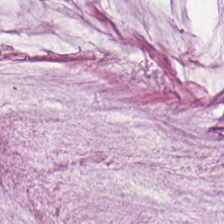Hematoxylin-and-eosin stained section · 224×224 px patch — {"tissue_type": "extracellular mucin"}
